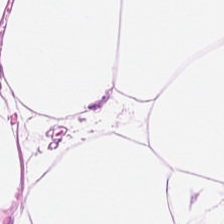Hematoxylin and eosin — Finding → fat tissue.
